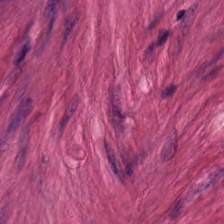H&E. Brightfield.
Muscularis.
